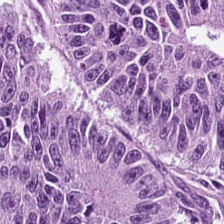Hematoxylin-and-eosin stained section — Predominantly colorectal adenocarcinoma.
